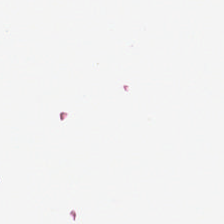WSI patch; 224×224 px patch; hematoxylin-and-eosin stained section.
This patch shows empty background.
